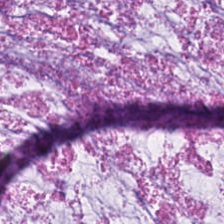Stain: H&E stain.
Acquisition: whole-slide-image patch.
Tissue: extracellular mucin.
